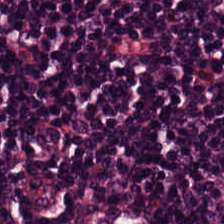Classification: lymphocytic infiltrate.
